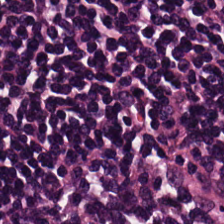Tissue class = lymphocytes.
